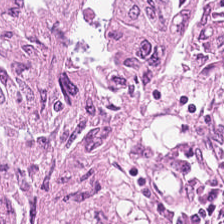Q: What does this patch show?
A: It is adenocarcinoma.
